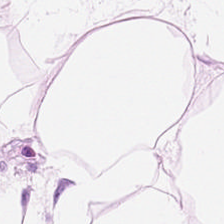224×224 px patch · FFPE tissue section · H&E stain. Q: What does this patch show?
A: It is adipose tissue.
